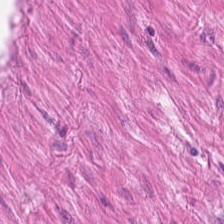Muscularis.
